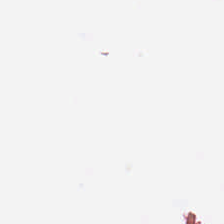Brightfield. Hematoxylin and eosin. 0.5 µm per pixel — Background — no tissue in this field.
